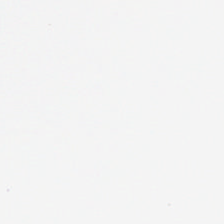H&E. No tissue present; background only.
